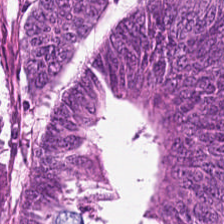Q: What type of tissue is this?
A: The field shows adenocarcinoma.
